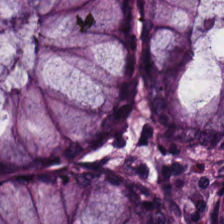224×224 px patch; H&E stain — The tissue here is normal colon mucosa.
